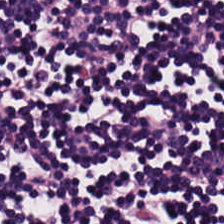Hematoxylin-and-eosin stained section. Tissue class: lymphocyte aggregate.
